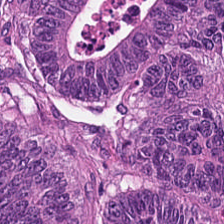0.5 microns per pixel. Hematoxylin-and-eosin stained section. Brightfield.
Tissue type: tumor epithelium.
